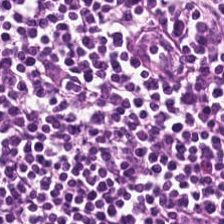Impression — lymphocytes.
